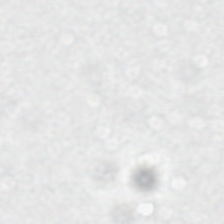Hematoxylin-and-eosin stained section. 224×224 px tile. 0.5 µm/px — This patch shows background (no tissue).
